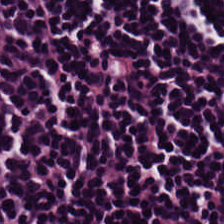Hematoxylin-and-eosin stained section — Tissue class — lymphocyte aggregate.
